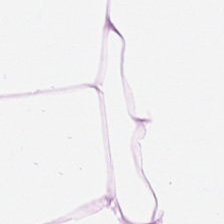Hematoxylin-and-eosin stained section. Formalin-fixed paraffin-embedded section. Fat tissue.
